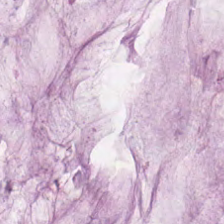Stain: H&E.
Tile size: 224×224 pixel tile.
Tissue type: mucin.
